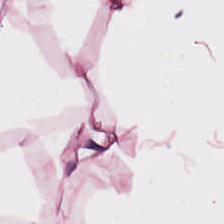Hematoxylin and eosin; brightfield microscopy — Histology → fat tissue.
